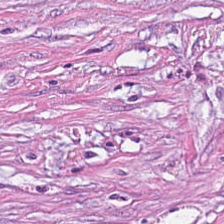Stain: hematoxylin-and-eosin stained section.
Preparation: FFPE tissue section.
Tile size: 224×224 pixel tile.
Classification: tumor-associated stroma.
